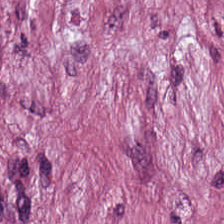Whole-slide-image patch · hematoxylin-and-eosin stained section · 224×224 pixel tile — Histology — tumor-associated stroma.
